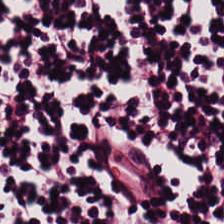Hematoxylin-and-eosin stained section. Tissue: lymphoid infiltrate.
